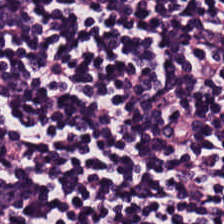Stain: H&E.
Tissue class: lymphocytes.
